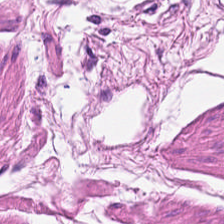0.5 µm/px · hematoxylin-and-eosin stained section — This field is muscularis.
